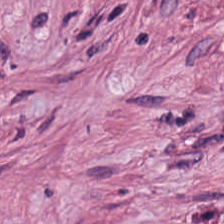H&E — Predominant tissue: cancer-associated stroma.
